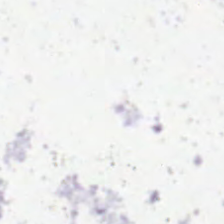Hematoxylin-and-eosin stained section. The field content is empty background.
